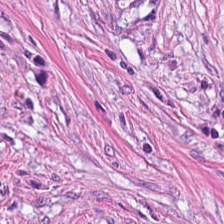Hematoxylin and eosin. This patch shows tumor-associated stroma.
